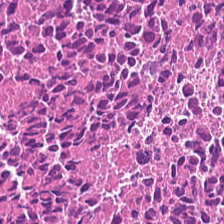Hematoxylin-and-eosin stained section.
This field is debris.
